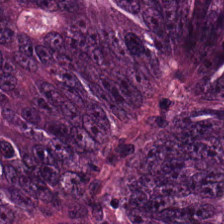Showing adenocarcinoma.
